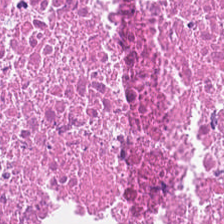Stain: hematoxylin and eosin.
Tile size: 224×224 pixel tile.
Tissue: cellular debris.
